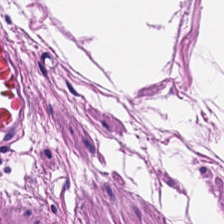Hematoxylin-and-eosin stained section — Tissue class = smooth-muscle tissue.
